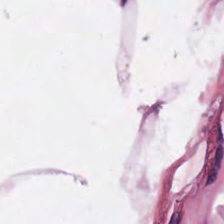WSI patch; H&E. This patch shows fat tissue.
